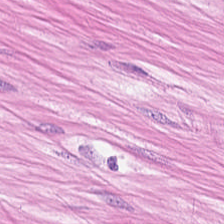0.5 µm per pixel. H&E — This patch shows smooth-muscle tissue.
